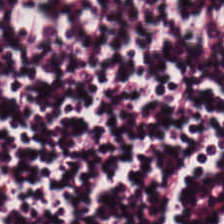Histology — lymphocyte aggregate.
